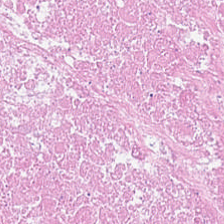This field is debris.
